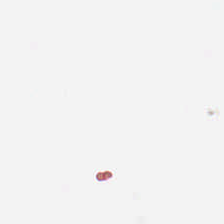H&E-stained tissue section; formalin-fixed paraffin-embedded section. Content — background (no tissue).
